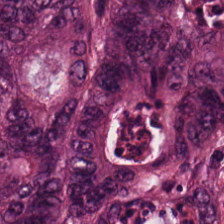224×224 pixel tile. H&E stain. The tissue here is colorectal adenocarcinoma.
